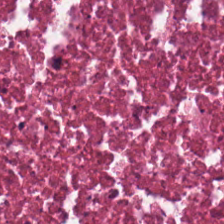Stain: H&E-stained tissue section.
Tissue class: cellular debris.
